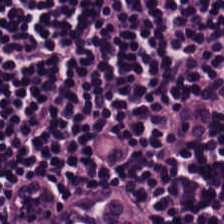H&E-stained tissue section.
This patch shows lymphocytic infiltrate.
